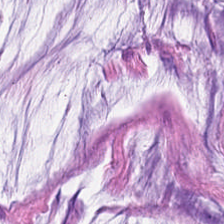FFPE; H&E-stained tissue section.
This field is extracellular mucin.
